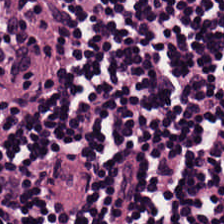Predominant tissue = lymphocytic infiltrate.
